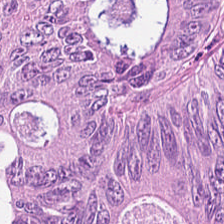H&E-stained tissue section.
Adenocarcinoma.
